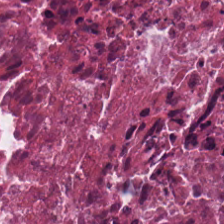Stain: H&E-stained tissue section.
Tissue class: debris.
